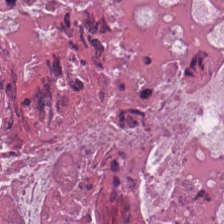20× equivalent magnification; H&E stain; 224×224 px tile — The predominant tissue is necrotic debris.
